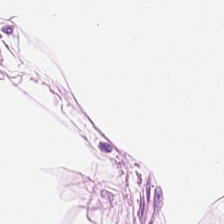Hematoxylin-and-eosin stained section.
Tissue class — adipocytes.
